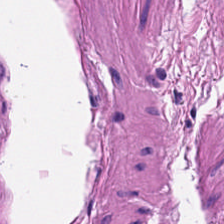0.5 µm/px · 224×224 pixel tile · H&E stain.
This field is smooth-muscle tissue.
